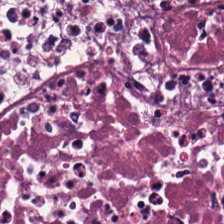Hematoxylin and eosin.
Histology — cellular debris.
